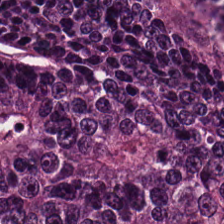Stain: H&E.
Tissue: adenocarcinoma.
